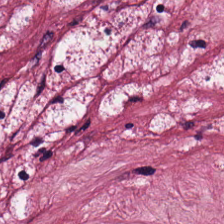Q: What does this patch show?
A: It is cancer-associated stroma.
